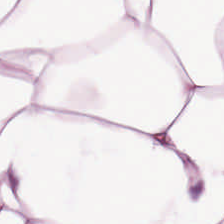H&E-stained tissue section — Impression — fat tissue.
